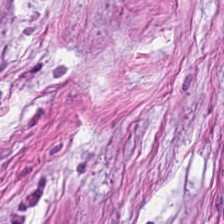Hematoxylin-and-eosin stained section; brightfield microscopy — {"tissue_type": "tumor stroma"}
